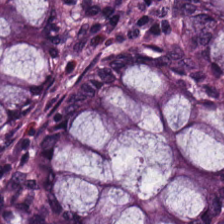H&E. 224×224 px tile. This patch shows normal colon mucosa.
